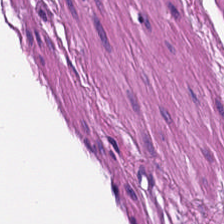Predominant tissue — smooth muscle.
